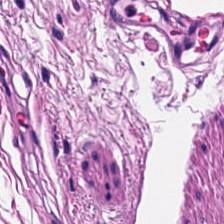H&E stain · WSI patch — The predominant tissue is smooth muscle.
